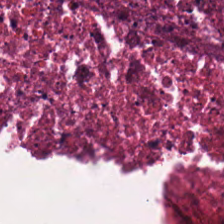Stain: H&E-stained tissue section.
Classification: debris.
